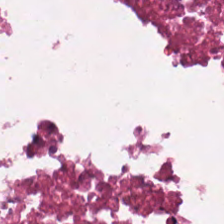0.5 µm per pixel · H&E stain · whole-slide-image patch — Q: What is the predominant tissue type?
A: This is cellular debris.
